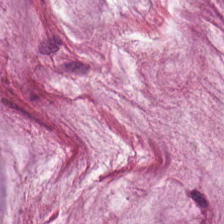H&E.
Showing mucus.
